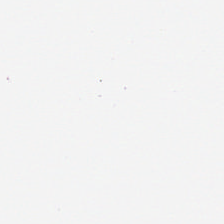H&E — Background — no tissue in this field.
